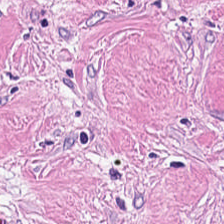Hematoxylin and eosin · 224×224 px patch.
Classification: tumor-associated stroma.
